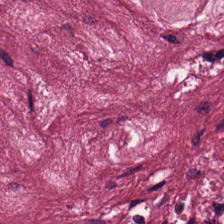Stain: hematoxylin and eosin.
Tissue type: tumor-associated stroma.
